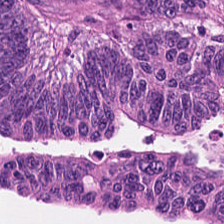Hematoxylin and eosin. 224×224 px patch.
Classification: colorectal adenocarcinoma epithelium.
